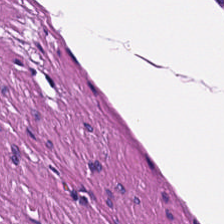Hematoxylin and eosin — Tissue type — muscularis.
